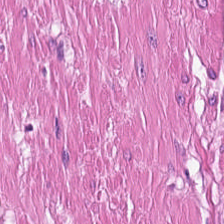H&E-stained tissue section; 0.5 µm per pixel. Q: What tissue type is shown here?
A: It is muscularis.
